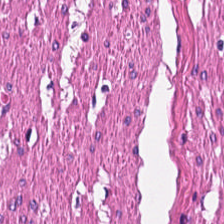H&E stain — Finding → muscularis.
